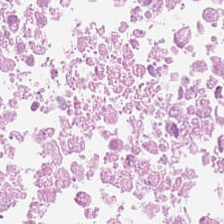H&E stain.
Q: What tissue type is shown here?
A: This is debris.
